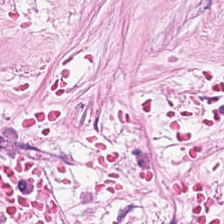H&E-stained tissue section — Histology → desmoplastic stroma.
